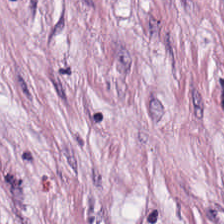Hematoxylin-and-eosin stained section. The tissue class is cancer-associated stroma.
